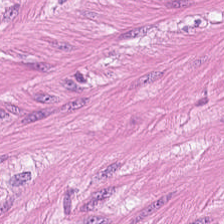H&E — Finding — smooth-muscle tissue.
